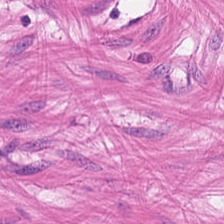H&E-stained tissue section.
The tissue is smooth-muscle tissue.
